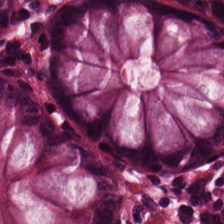H&E-stained tissue section. 0.5 µm/px — Predominantly benign colonic mucosa.
